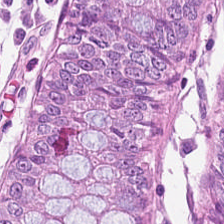224×224 pixel tile. 0.5 microns per pixel. H&E stain.
Predominant tissue = normal colonic mucosa.
